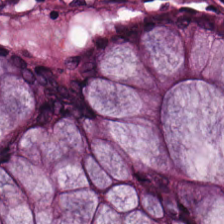224×224 px patch. Hematoxylin-and-eosin stained section. The classification is normal colon mucosa.
